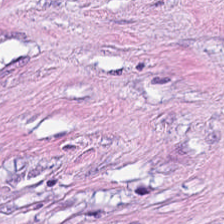Predominantly desmoplastic stroma.
